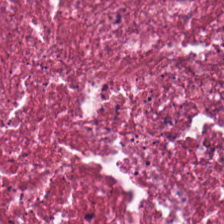Impression — debris.
